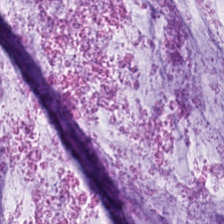Stain: hematoxylin and eosin.
Tissue class: mucin.
